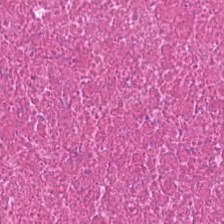Q: Identify the tissue.
A: It is cellular debris.
